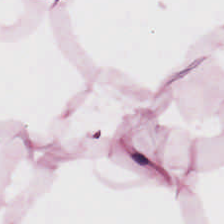Hematoxylin and eosin. 224×224 px tile — The predominant tissue is adipocytes.
